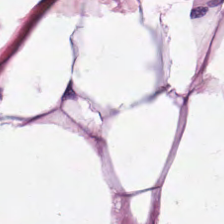FFPE · hematoxylin and eosin. Impression → adipocytes.
